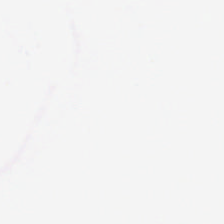Hematoxylin-and-eosin stained section. Content = empty background.
